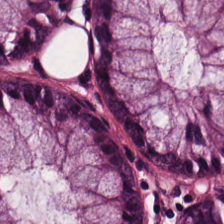FFPE tissue section; H&E stain. The predominant tissue is non-neoplastic colon mucosa.
